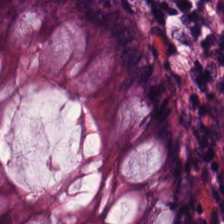FFPE · H&E — This field is normal colonic mucosa.
